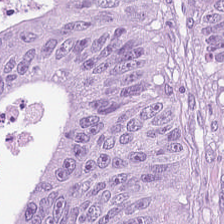Stain: H&E.
Predominant tissue: tumor epithelium.
